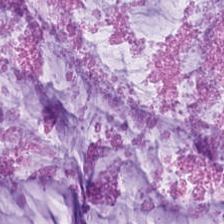Whole-slide-image patch · hematoxylin and eosin.
The predominant tissue is mucin.
